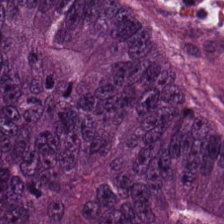H&E stain · 224×224 px patch — Predominantly colorectal adenocarcinoma epithelium.
